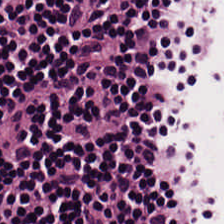Hematoxylin and eosin. The predominant tissue is lymphocytes.
